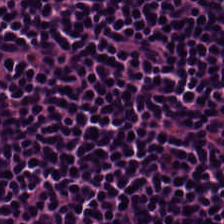FFPE; H&E-stained tissue section. Finding — lymphoid infiltrate.
